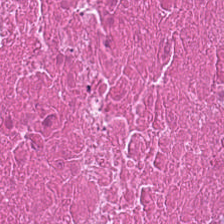H&E stain — The predominant tissue is cellular debris.
